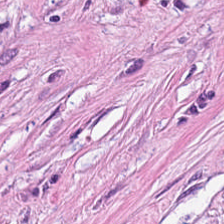Hematoxylin and eosin.
Q: What tissue is shown?
A: Tumor stroma.
